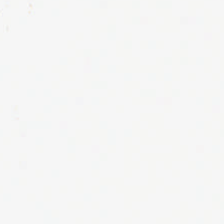FFPE tissue section · H&E stain.
The field content is background.
